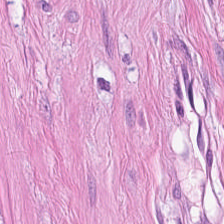224×224 px tile · H&E.
The tissue is muscularis.
